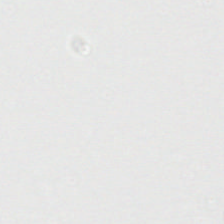Histology — background.
